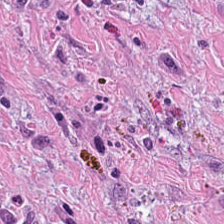H&E · 0.5 µm per pixel · 224×224 pixel tile.
The predominant tissue is cancer-associated stroma.
